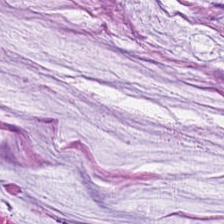Hematoxylin and eosin. Predominantly extracellular mucin.
